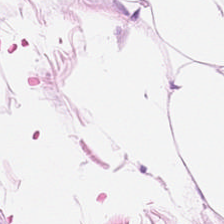Hematoxylin-and-eosin stained section. Q: Identify the tissue.
A: It is adipocytes.
